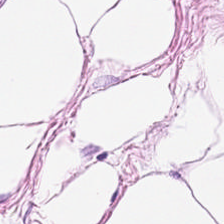H&E. Finding → adipose tissue.
